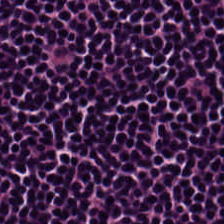H&E-stained tissue section.
Tissue: lymphoid infiltrate.
